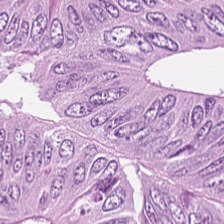H&E — colorectal adenocarcinoma.
